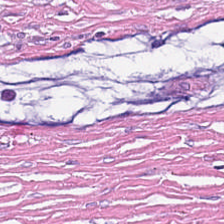H&E stain — Q: What is the predominant tissue type?
A: It is cancer-associated stroma.
